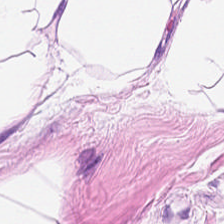H&E-stained tissue section · formalin-fixed paraffin-embedded section.
Finding — adipose.
